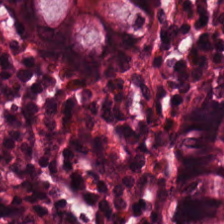Hematoxylin-and-eosin stained section. Classification = benign colonic mucosa.
